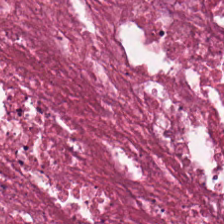Hematoxylin and eosin · 0.5 µm per pixel · brightfield. Q: What is shown in this field?
A: Cellular debris.
